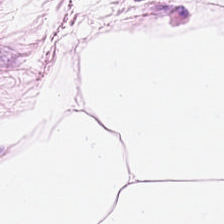Showing fat tissue.
